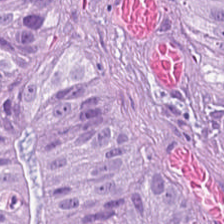Tissue: tumor epithelium.
